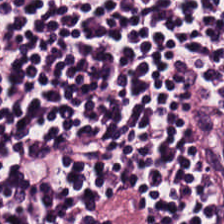Stain: H&E stain.
Acquisition: brightfield.
Resolution: 0.5 microns per pixel.
Tissue type: lymphocytic infiltrate.
